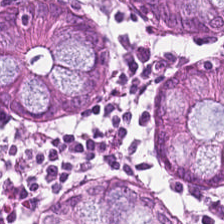224×224 px tile. Hematoxylin-and-eosin stained section — Classification: normal colonic mucosa.
